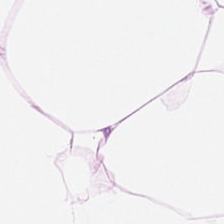224×224 pixel tile. Hematoxylin-and-eosin stained section — Tissue class: adipocytes.
